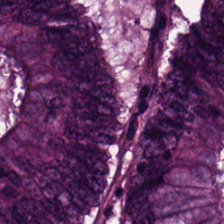FFPE tissue section · hematoxylin and eosin. Predominantly tumor epithelium.
